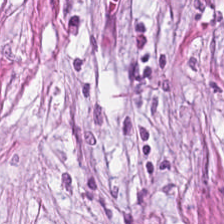Hematoxylin and eosin.
The tissue class is tumor-associated stroma.
